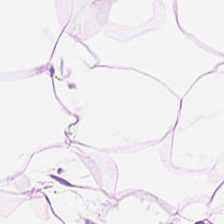0.5 µm per pixel. Hematoxylin and eosin. Impression — adipocytes.
